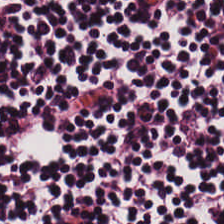Tissue type: lymphocytic infiltrate.
